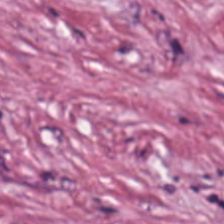The tissue type is cancer-associated stroma.
